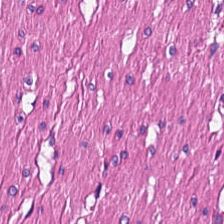Stain: H&E stain.
Tissue class: smooth muscle.
